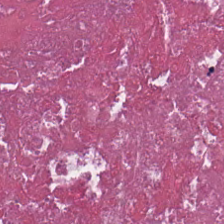The predominant tissue is cellular debris.
